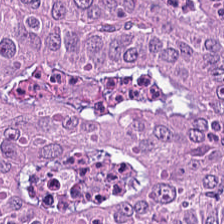H&E-stained tissue section — The tissue type is tumor epithelium.
